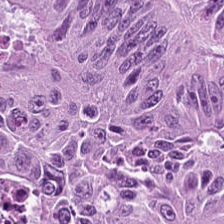H&E-stained tissue section.
{"tissue_type": "adenocarcinoma"}
